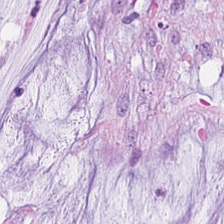Hematoxylin and eosin — The tissue class is mucin.
